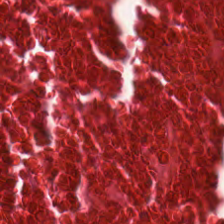H&E-stained tissue section.
This field is necrotic debris.
